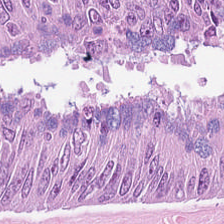H&E-stained tissue section — Histology → colorectal adenocarcinoma epithelium.
